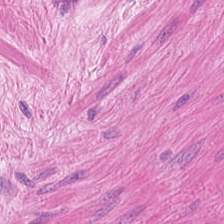Formalin-fixed paraffin-embedded section. H&E. 0.5 µm per pixel — Tissue class — smooth-muscle tissue.
